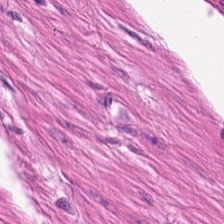H&E-stained tissue section. Showing muscularis.
